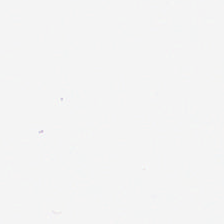Classification: background.
